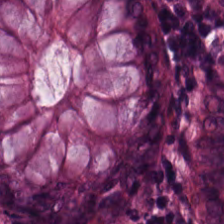Histology — normal colonic mucosa.
